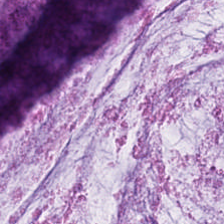H&E · 0.5 µm/px.
Extracellular mucin.
